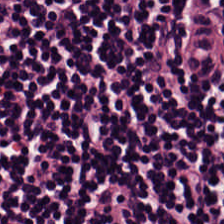H&E stain. 224×224 px tile. 0.5 µm/px. Finding — lymphocyte aggregate.
